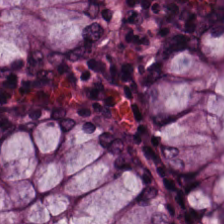H&E-stained section; the field shows normal colonic mucosa.
